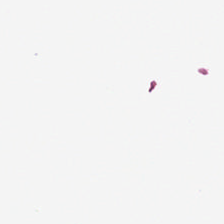224×224 px patch · H&E-stained tissue section · 0.5 µm per pixel. No tissue present; background only.
